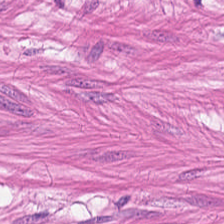FFPE tissue section · H&E stain · 20× equivalent magnification — Tissue: smooth-muscle tissue.
